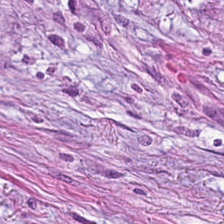The predominant tissue is cancer-associated stroma.
